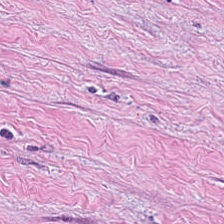Hematoxylin-and-eosin stained section — Classification: cancer-associated stroma.
